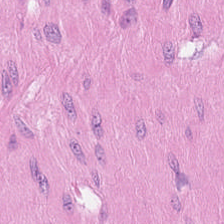Hematoxylin and eosin; 224×224 pixel tile.
The predominant tissue is smooth muscle.
